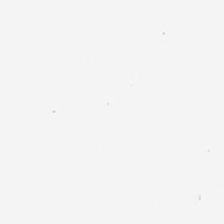Stain: hematoxylin and eosin.
Content: empty background.
